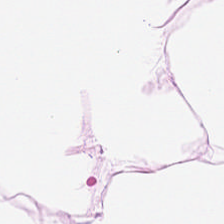20× equivalent magnification · 224×224 px patch · H&E-stained tissue section. Classification: adipose.
